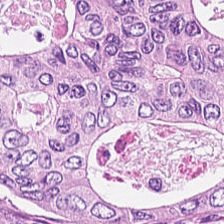H&E-stained tissue section. 0.5 µm/px.
Q: Classify this patch.
A: The field shows malignant epithelium.
